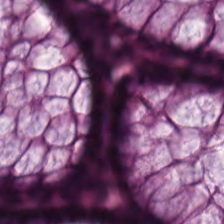Stain: H&E.
Tissue class: benign colonic mucosa.
